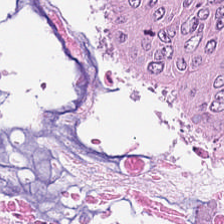FFPE; hematoxylin-and-eosin stained section. This patch shows malignant epithelium.
